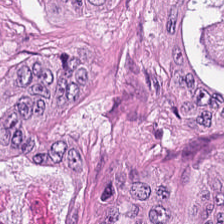Tissue class — colorectal adenocarcinoma.
